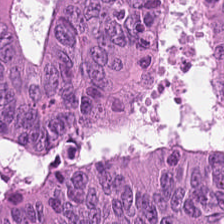Stain: H&E stain.
Resolution: 0.5 µm/px.
Tissue type: colorectal adenocarcinoma.
